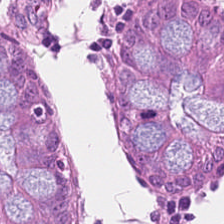H&E stain.
Q: What is the predominant tissue type?
A: It is non-neoplastic colon mucosa.
